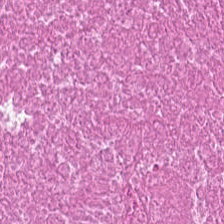H&E-stained tissue section — The tissue type is debris.
